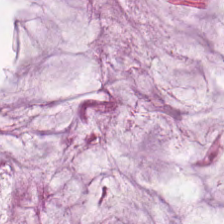H&E stain. Mucin.
